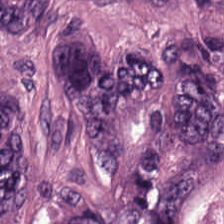Stain: hematoxylin-and-eosin stained section.
Tissue type: colorectal adenocarcinoma epithelium.
